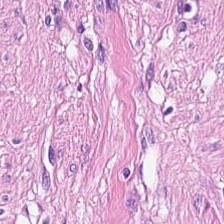H&E. Formalin-fixed paraffin-embedded section. {"tissue_type": "muscularis"}
